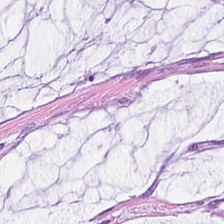H&E stain · 20× equivalent magnification. The predominant tissue is mucin.
